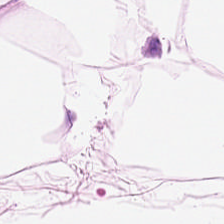H&E — This patch shows fat tissue.
